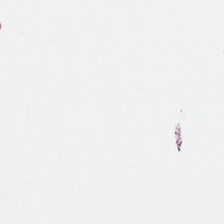Brightfield · H&E stain.
No tissue present; background only.
